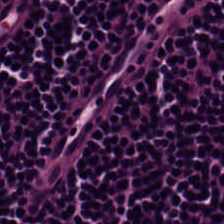Hematoxylin and eosin; brightfield; FFPE. Histology — lymphocyte aggregate.
